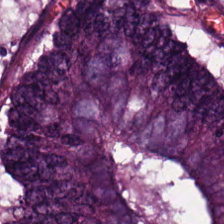Hematoxylin and eosin; 0.5 microns per pixel; formalin-fixed paraffin-embedded section. Q: What tissue type is shown here?
A: This is colorectal adenocarcinoma epithelium.
